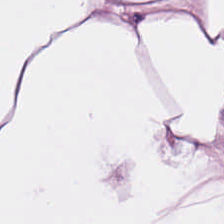FFPE; H&E-stained tissue section.
Showing adipocytes.
